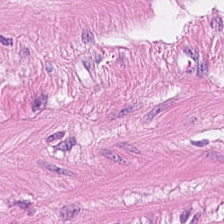H&E-stained section; the field shows muscularis.
